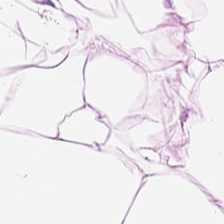Hematoxylin-and-eosin stained section. Tissue class = adipocytes.
